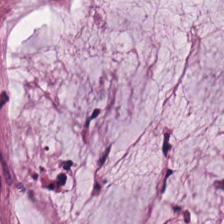The tissue class is extracellular mucin.
